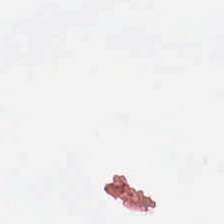Stain: hematoxylin-and-eosin stained section.
Preparation: FFPE tissue section.
Resolution: 0.5 microns per pixel.
Field content: no tissue.
